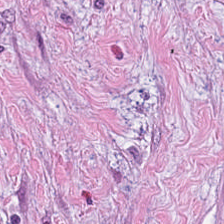H&E stain. The tissue class is tumor stroma.
